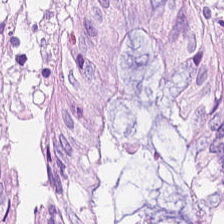Histology → benign colonic mucosa.
